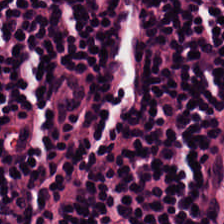H&E stain — Impression — lymphocytic infiltrate.
